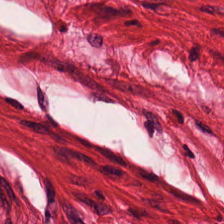Predominant tissue — smooth-muscle tissue.
